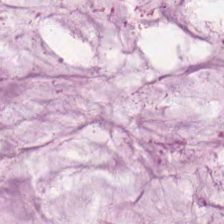Hematoxylin-and-eosin stained section.
{"tissue_type": "extracellular mucin"}
